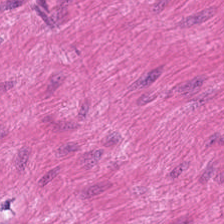WSI patch. Hematoxylin and eosin. 0.5 µm per pixel. Tissue type = smooth muscle.
